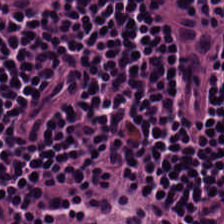Q: What tissue type is shown here?
A: This is lymphocytic infiltrate.
